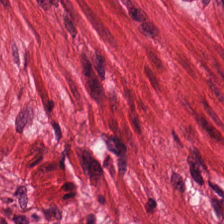H&E. 224×224 px tile. Formalin-fixed paraffin-embedded section. This field is muscularis.
